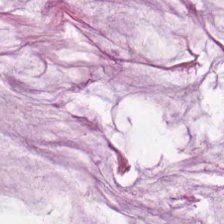Hematoxylin-and-eosin stained section. Whole-slide-image patch. 20× equivalent magnification.
Q: Classify this patch.
A: This is extracellular mucin.
